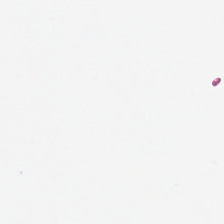H&E. Empty field — background.
